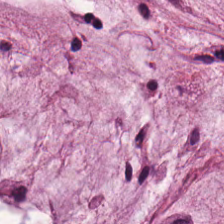H&E-stained tissue section showing mucus.
